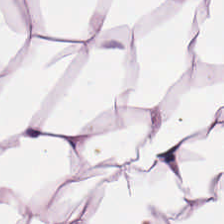This patch shows fat tissue.
